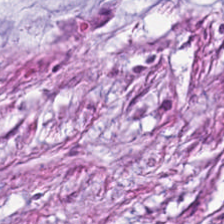Q: What is shown in this field?
A: It is tumor stroma.
